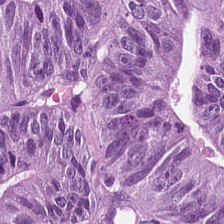Q: What tissue is shown?
A: Malignant epithelium.
